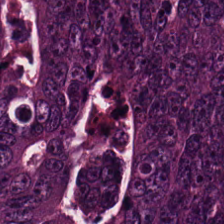Tissue type = colorectal adenocarcinoma.
